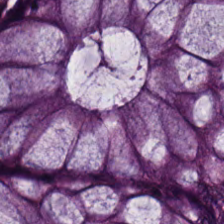224×224 px tile; H&E-stained tissue section. This patch shows normal colon mucosa.
